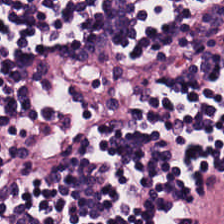The tissue type is lymphoid infiltrate.
